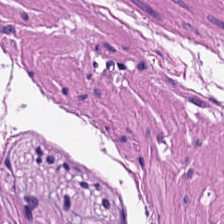Predominantly smooth-muscle tissue.
